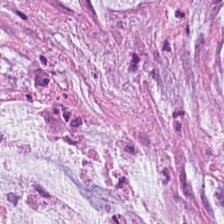H&E — Q: Classify this patch.
A: The field shows extracellular mucin.
